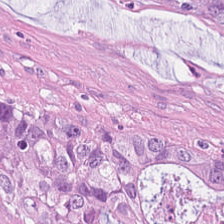Hematoxylin and eosin — Q: Identify the tissue.
A: Adenocarcinoma.
